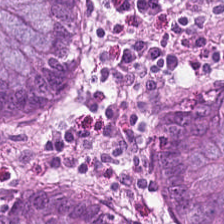0.5 microns per pixel; H&E-stained tissue section.
Histology → benign colonic mucosa.
